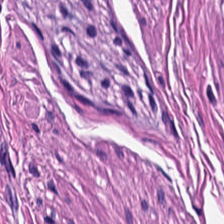Histology — smooth-muscle tissue.
